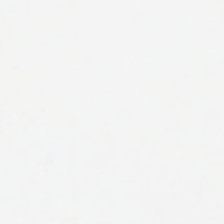H&E; 224×224 pixel tile.
The classification is no tissue.
